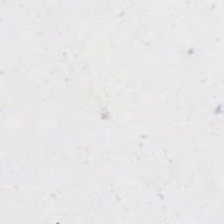Hematoxylin and eosin; brightfield microscopy — Classification = no tissue.
